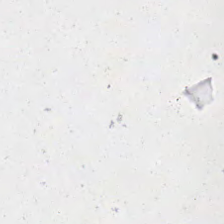H&E stain · brightfield · 224×224 px tile. Content = background.
